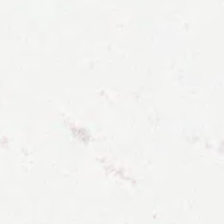Whole-slide-image patch; H&E-stained tissue section. This patch shows background (no tissue).
